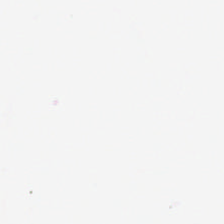Stain: H&E stain.
Resolution: 20× equivalent magnification.
Acquisition: brightfield microscopy.
Field content: background.
